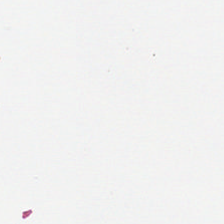Hematoxylin and eosin. This field is background (no tissue).
